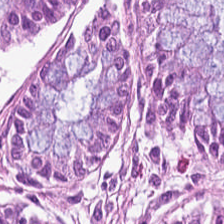Hematoxylin and eosin. Tissue type — benign colonic mucosa.
